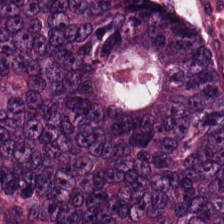Hematoxylin-and-eosin stained section · FFPE — Tissue: colorectal adenocarcinoma epithelium.
